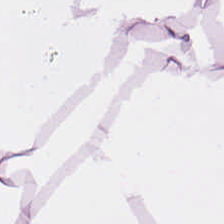The tissue class is adipose tissue.
